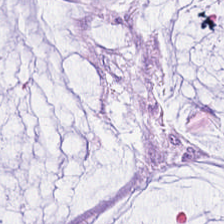Hematoxylin-and-eosin stained section. Showing mucus.
